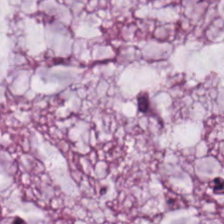Hematoxylin and eosin. {"tissue_type": "mucus"}
